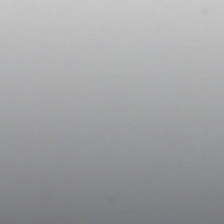Q: What does this patch show?
A: It is background (no tissue).
